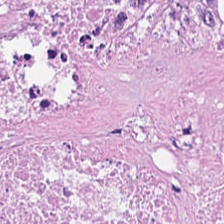Predominantly cellular debris.
